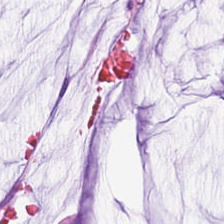Hematoxylin-and-eosin stained section; 224×224 pixel tile — This patch shows mucin.
